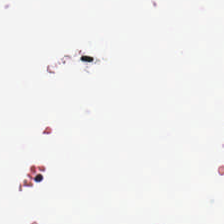Formalin-fixed paraffin-embedded section. H&E stain. The content is empty background.
